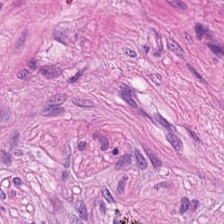Histology — muscularis.
